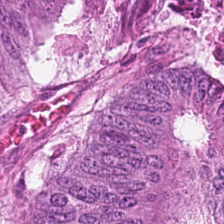H&E-stained tissue section; 224×224 pixel tile. The tissue here is malignant epithelium.
